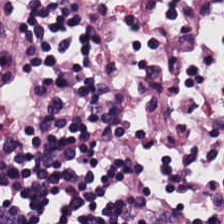224×224 px tile. Hematoxylin-and-eosin stained section. Showing lymphocytes.
